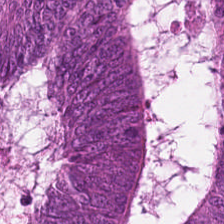H&E stain.
{"tissue_type": "colorectal adenocarcinoma epithelium"}
